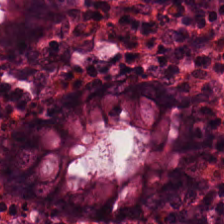Hematoxylin and eosin — Q: What tissue type is shown here?
A: Normal colon mucosa.
